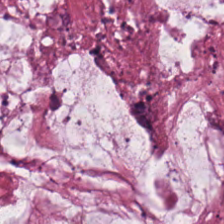H&E stain; formalin-fixed paraffin-embedded section.
Extracellular mucin.
